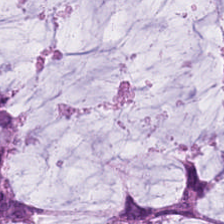Stain: hematoxylin and eosin.
Tissue: extracellular mucin.
